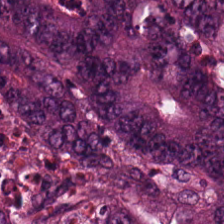0.5 microns per pixel. H&E-stained tissue section. Tissue type = tumor epithelium.
